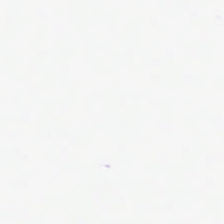0.5 microns per pixel. Hematoxylin and eosin — Histology → background (no tissue).
